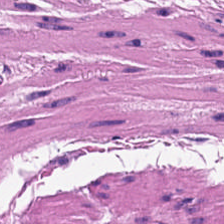Tissue: smooth-muscle tissue.
